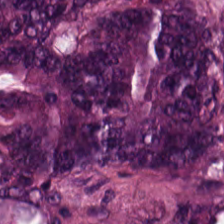The tissue is malignant epithelium.
